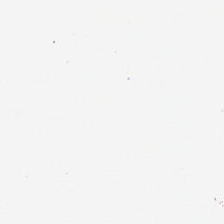H&E-stained tissue section.
Content: empty background.
